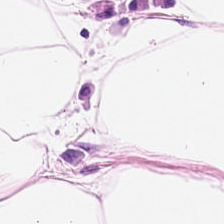The classification is adipose tissue.
